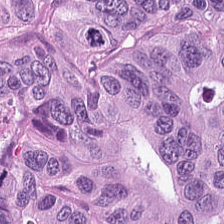Hematoxylin and eosin — Impression — malignant epithelium.
